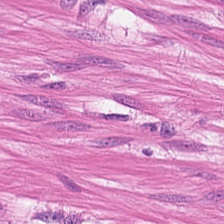Stain: hematoxylin-and-eosin stained section.
Tissue: muscularis.
